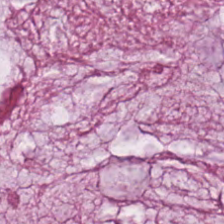Tissue type: mucin.
